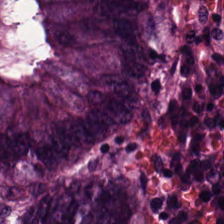224×224 px tile · H&E stain. Tissue type — malignant epithelium.
